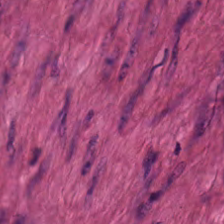Hematoxylin and eosin. Q: Classify this patch.
A: The field shows muscularis.
